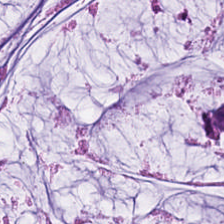20× equivalent magnification; hematoxylin and eosin; whole-slide-image patch.
This field is mucin.
